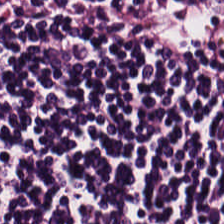Brightfield; H&E-stained tissue section — This field is lymphocytes.
